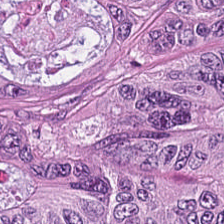Hematoxylin and eosin. Q: What is shown here?
A: It is adenocarcinoma.
